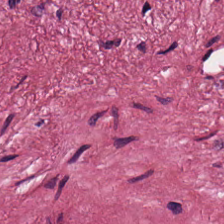224×224 px patch; H&E; 20× equivalent magnification.
The tissue here is tumor-associated stroma.
